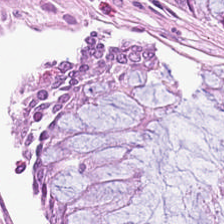This patch shows benign colonic mucosa.
